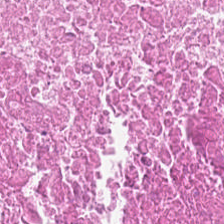H&E. 0.5 µm/px. 224×224 px tile. Tissue class — necrotic debris.
